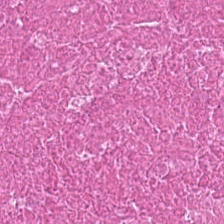The tissue here is debris.
